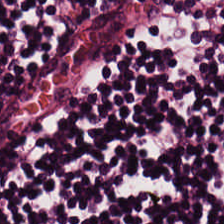H&E-stained tissue section · formalin-fixed paraffin-embedded section.
This patch shows lymphocytes.
